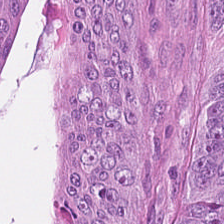Whole-slide-image patch; H&E stain. The tissue here is tumor epithelium.
